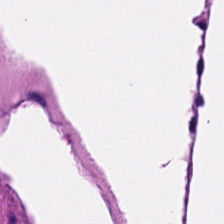Hematoxylin and eosin.
Predominant tissue — smooth-muscle tissue.
